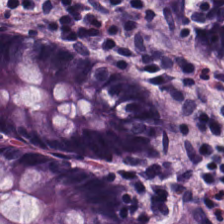H&E-stained tissue section — Q: What tissue type is shown here?
A: The field shows normal colonic mucosa.
